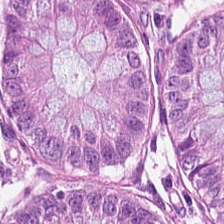H&E.
Histology → normal colon mucosa.
